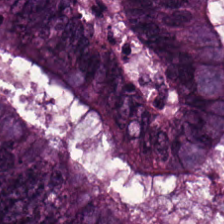H&E; WSI patch. Tissue — tumor epithelium.
